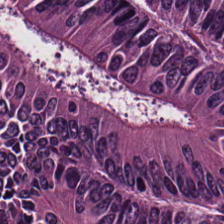Hematoxylin-and-eosin stained section; formalin-fixed paraffin-embedded section. Histology — tumor epithelium.
